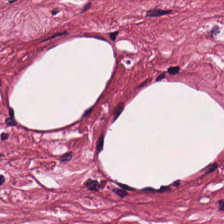224×224 px patch · H&E — Predominantly cancer-associated stroma.
